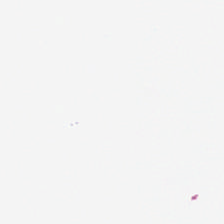WSI patch · hematoxylin-and-eosin stained section. Finding — empty background.
